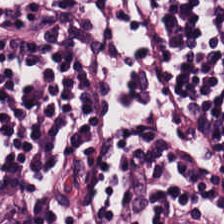Tissue: lymphocytic infiltrate.
